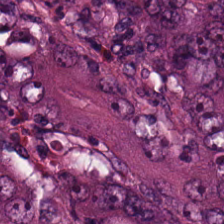H&E stain. 0.5 µm per pixel.
Showing colorectal adenocarcinoma.
